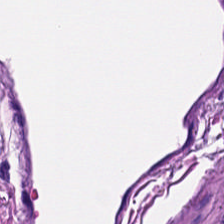Brightfield microscopy; hematoxylin and eosin. This patch shows smooth-muscle tissue.
